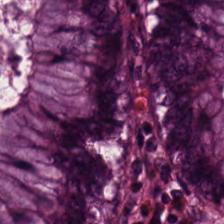Showing normal colon mucosa.
